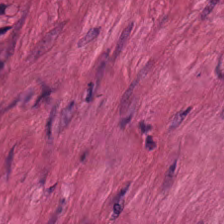The tissue class is smooth-muscle tissue.
